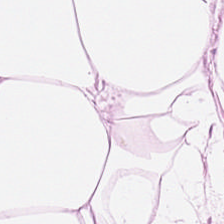Q: What tissue type is shown here?
A: It is adipose.
